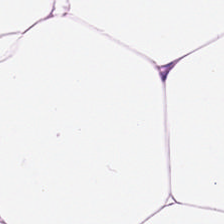Stain: H&E.
Classification: adipose.
